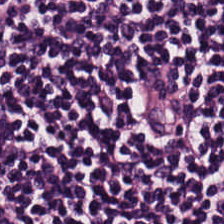H&E stain. FFPE.
Lymphocyte aggregate.
